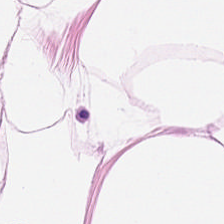Histology → adipose.
